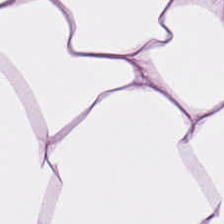Stain: H&E-stained tissue section.
Preparation: FFPE tissue section.
Tissue: adipocytes.
